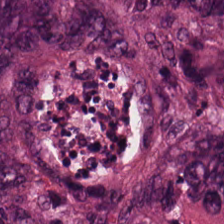Stain: H&E-stained tissue section.
Resolution: 0.5 microns per pixel.
Tissue type: tumor epithelium.
